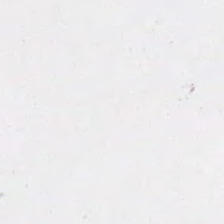224×224 px tile; H&E-stained tissue section — Classification: no tissue.
